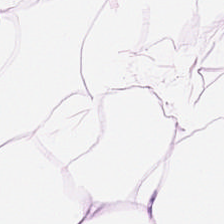224×224 px tile. 0.5 microns per pixel. H&E — Predominant tissue = adipose.
